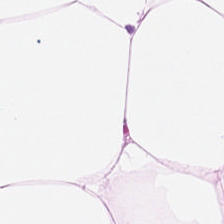The tissue type is adipocytes.
